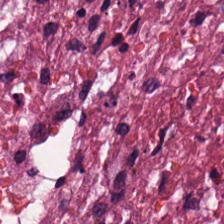H&E · 0.5 microns per pixel. This field is cellular debris.
